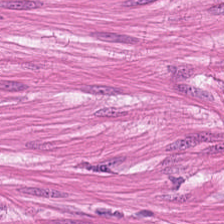Predominantly smooth muscle.
